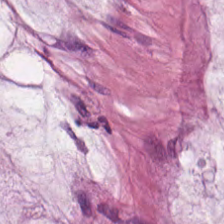{"tissue_type": "mucus"}
